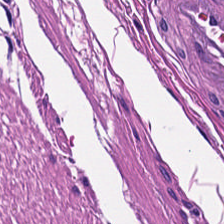H&E-stained tissue section. This patch shows smooth muscle.
